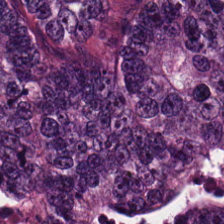H&E. Brightfield. Tissue type — malignant epithelium.
